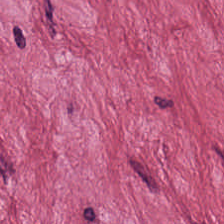Hematoxylin and eosin. 0.5 µm/px.
Q: What tissue type is shown here?
A: This is tumor-associated stroma.
